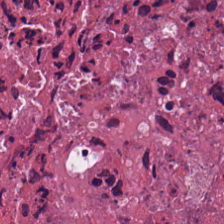Stain: H&E-stained tissue section.
Resolution: 0.5 µm/px.
Preparation: FFPE tissue section.
Predominant tissue: cellular debris.
